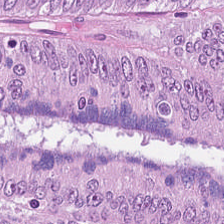Stain: hematoxylin-and-eosin stained section.
Tissue type: colorectal adenocarcinoma.
